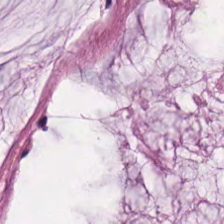H&E — Tissue type: mucin.
